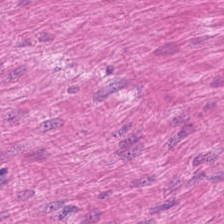0.5 µm per pixel; H&E; whole-slide-image patch. Q: Classify this patch.
A: Muscularis.
